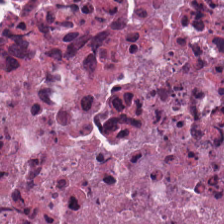Hematoxylin-and-eosin section: necrotic debris.
